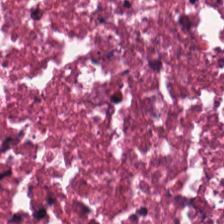Hematoxylin-and-eosin stained section.
Classification: necrotic debris.
